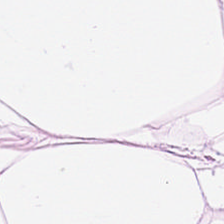Impression — adipocytes.
